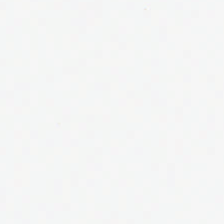Stain: hematoxylin-and-eosin stained section.
Field content: background (no tissue).
